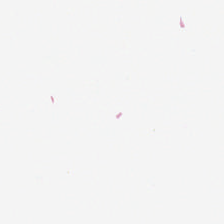H&E stain. Brightfield microscopy. Q: What is shown in this field?
A: The field shows no tissue.
